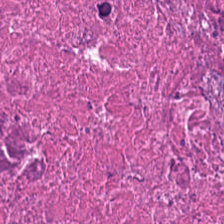Formalin-fixed paraffin-embedded section; 20× equivalent magnification; H&E-stained tissue section. The predominant tissue is debris.
